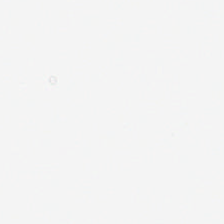Finding — background (no tissue).
